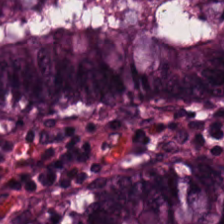0.5 µm/px. H&E stain — Non-neoplastic colon mucosa.
